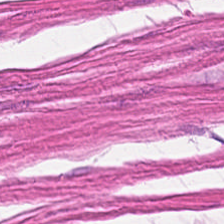H&E patch showing smooth muscle.
